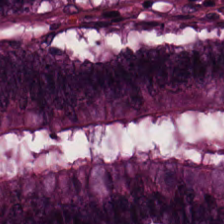Hematoxylin-and-eosin stained section. The predominant tissue is non-neoplastic colon mucosa.
